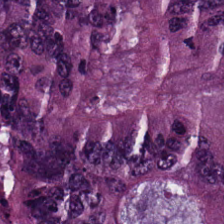WSI patch. Hematoxylin-and-eosin stained section.
Tissue — malignant epithelium.
